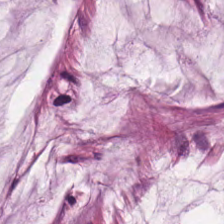H&E-stained tissue section; WSI patch — This patch shows mucin.
